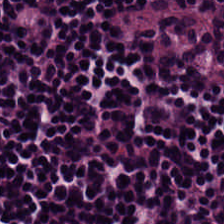H&E — lymphocytic infiltrate.
